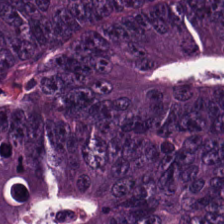Hematoxylin and eosin — Showing colorectal adenocarcinoma epithelium.
